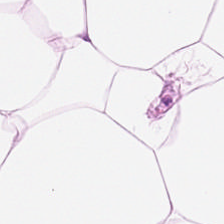Hematoxylin and eosin.
Fat tissue.
